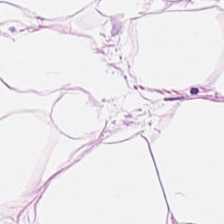This patch shows adipose.
